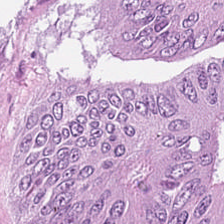Stain: hematoxylin and eosin.
Classification: malignant epithelium.
